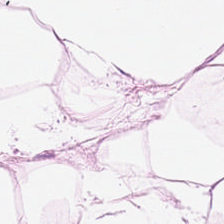H&E-stained tissue section showing adipocytes.
